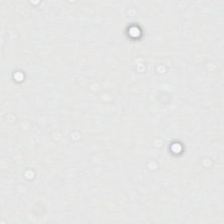FFPE tissue section · hematoxylin-and-eosin stained section.
Classification = empty background.
